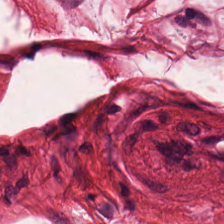20× equivalent magnification · hematoxylin and eosin. Finding → muscularis.
